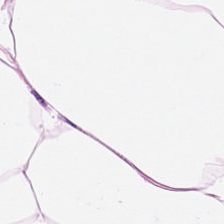Showing adipose.
